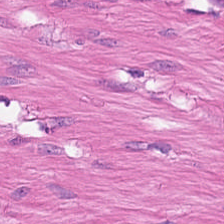H&E. Tissue: smooth muscle.
